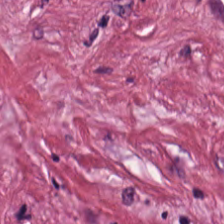Stain: H&E-stained tissue section.
Preparation: formalin-fixed paraffin-embedded section.
Classification: tumor-associated stroma.
